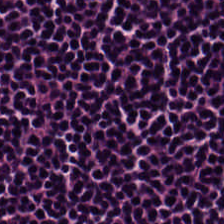Hematoxylin-and-eosin stained section. This patch shows lymphoid infiltrate.
